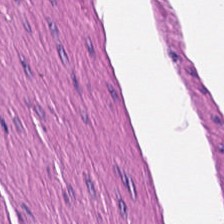Stain: hematoxylin-and-eosin stained section.
Tile size: 224×224 px tile.
Tissue: smooth muscle.
